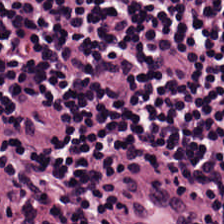H&E stain — {"tissue_type": "lymphoid infiltrate"}
